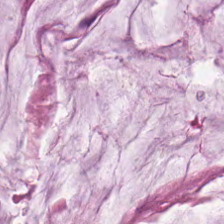Hematoxylin and eosin — Finding — mucin.
